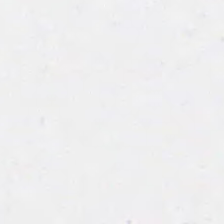This patch shows background (no tissue).
